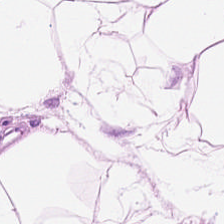20× equivalent magnification. Hematoxylin and eosin — Showing fat tissue.
